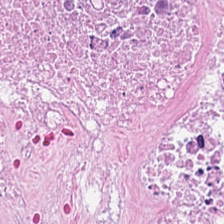H&E-stained tissue section showing necrotic debris.
